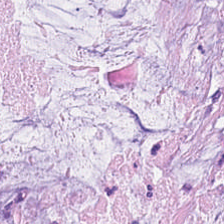H&E.
Tissue class = mucus.
